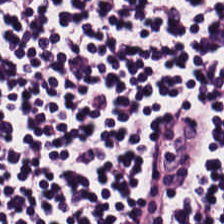Hematoxylin and eosin.
This field is lymphoid infiltrate.
